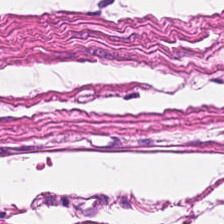224×224 px patch · H&E.
Tissue type — muscularis.
